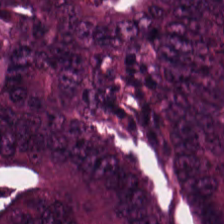H&E-stained tissue section.
Q: What does this patch show?
A: It is colorectal adenocarcinoma.
